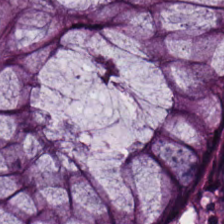Whole-slide-image patch; H&E-stained tissue section — Tissue = non-neoplastic colon mucosa.
